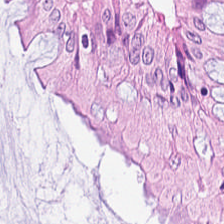H&E-stained tissue section. The tissue is normal colonic mucosa.
